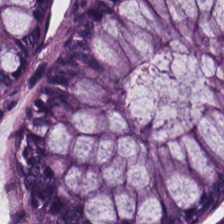Hematoxylin-and-eosin stained section. FFPE — Showing benign colonic mucosa.
